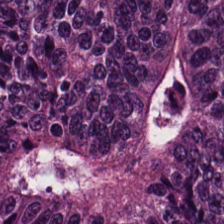H&E-stained tissue section. 224×224 px tile — {"tissue_type": "adenocarcinoma"}
